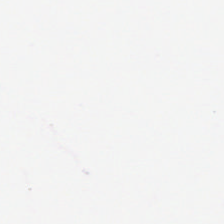H&E stain. Classification — empty background.
